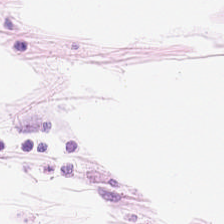Hematoxylin and eosin · 0.5 µm per pixel — The predominant tissue is adipocytes.
